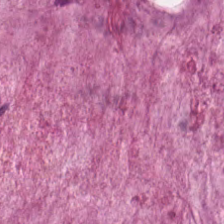H&E.
{"tissue_type": "mucin"}
